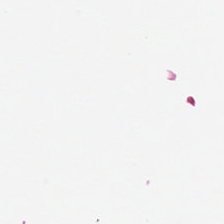H&E stain. This patch shows background (no tissue).
